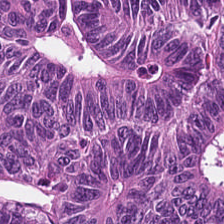Hematoxylin and eosin · FFPE tissue section.
Showing adenocarcinoma.
